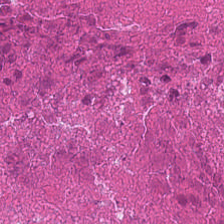Hematoxylin and eosin. 0.5 µm per pixel. The tissue class is necrotic debris.
